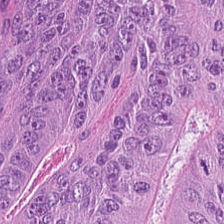Hematoxylin and eosin.
{"tissue_type": "colorectal adenocarcinoma epithelium"}
